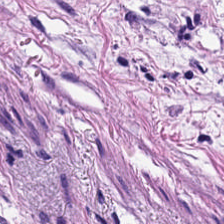Hematoxylin and eosin. {"tissue_type": "desmoplastic stroma"}
